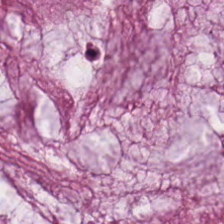Hematoxylin and eosin — The tissue here is mucin.
